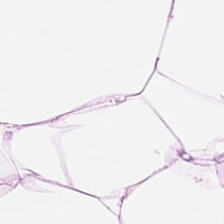H&E — Tissue class = adipose tissue.
